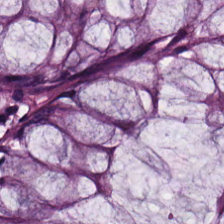Hematoxylin-and-eosin stained section · brightfield. Finding — normal colonic mucosa.
